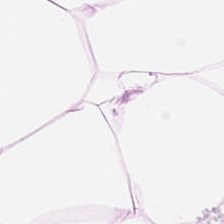H&E-stained tissue section · FFPE.
Finding — fat tissue.
